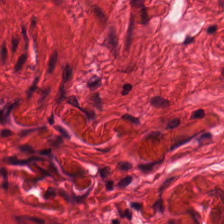Q: What is shown here?
A: The field shows smooth-muscle tissue.
